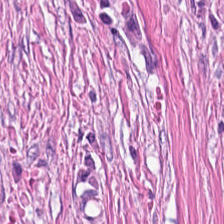H&E-stained tissue section.
Q: What is the predominant tissue type?
A: It is tumor stroma.
